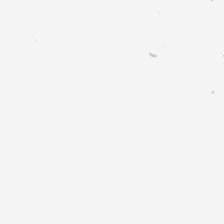H&E stain — This patch shows no tissue.
